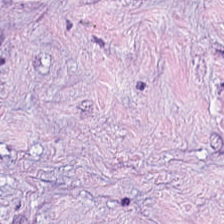H&E. Impression → tumor stroma.
